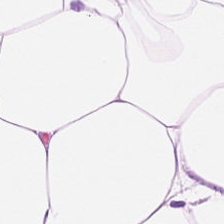Impression → adipose tissue.
